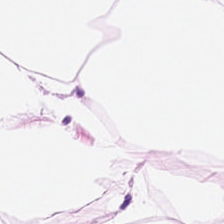Stain: H&E stain.
Preparation: FFPE tissue section.
Tissue type: adipocytes.
